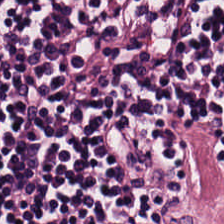H&E stain; FFPE; 224×224 pixel tile.
Q: Identify the tissue.
A: It is lymphocytes.
